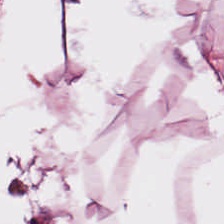H&E-stained tissue section.
This patch shows adipose tissue.
